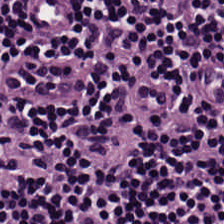Hematoxylin-and-eosin stained section; WSI patch. Predominantly lymphoid infiltrate.
